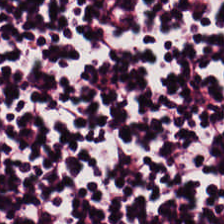The tissue here is lymphocytic infiltrate.
